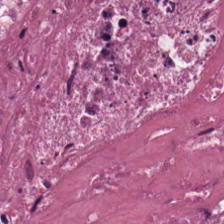H&E. This field is necrotic debris.
